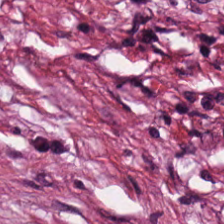Stain: hematoxylin and eosin.
Preparation: FFPE tissue section.
Predominant tissue: tumor-associated stroma.
